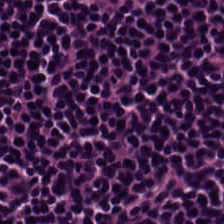H&E stain; FFPE tissue section; 224×224 px patch. Lymphocyte aggregate.
